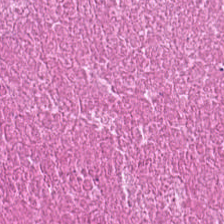Brightfield. 0.5 µm/px. H&E-stained tissue section. The predominant tissue is debris.
